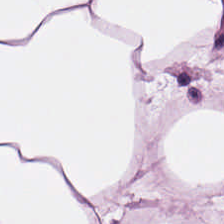Hematoxylin-and-eosin stained section; 224×224 px patch; whole-slide-image patch. The classification is adipose tissue.
